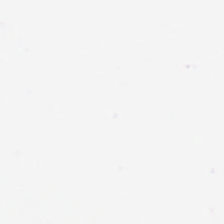Hematoxylin and eosin.
Background.
